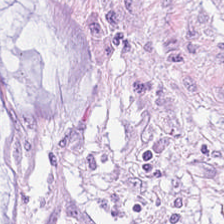0.5 µm per pixel; H&E stain.
The tissue here is mucin.
